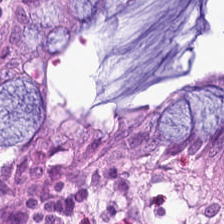{"tissue_type": "normal colon mucosa"}
